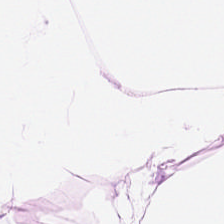Hematoxylin and eosin — Histology → adipose.
